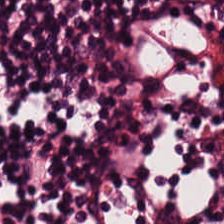224×224 px tile. 0.5 microns per pixel. Hematoxylin-and-eosin stained section — Showing lymphocytes.
